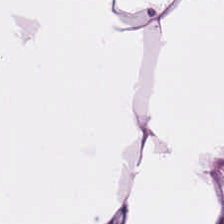Hematoxylin and eosin · 224×224 px patch. Histology — adipocytes.
